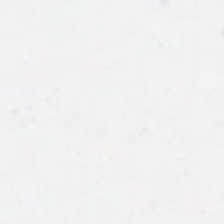H&E-stained tissue section — Content: background.
